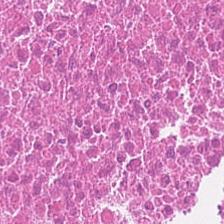FFPE · 0.5 µm/px · hematoxylin and eosin. The predominant tissue is debris.
